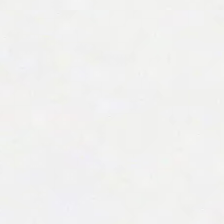Hematoxylin-and-eosin stained section; formalin-fixed paraffin-embedded section — This patch shows empty background.
